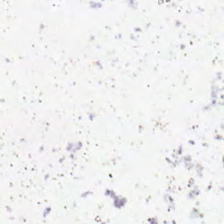H&E-stained tissue section. FFPE tissue section.
Histology → empty background.
